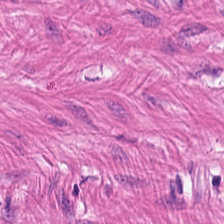Hematoxylin and eosin · FFPE tissue section · 20× equivalent magnification — Q: What is shown in this field?
A: The field shows muscularis.
